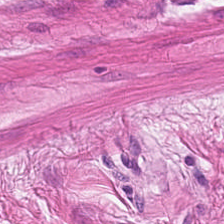H&E-stained section; the field shows smooth-muscle tissue.
